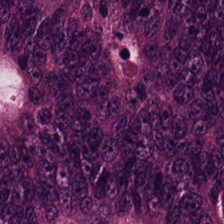Hematoxylin and eosin — Classification = colorectal adenocarcinoma epithelium.
